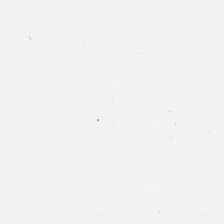Field content = background (no tissue).
